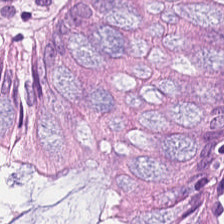H&E stain. Tissue — normal colonic mucosa.
